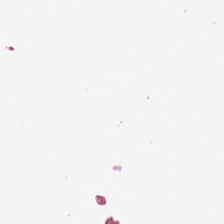Stain: H&E.
Resolution: 0.5 µm per pixel.
Preparation: FFPE tissue section.
Content: background (no tissue).
